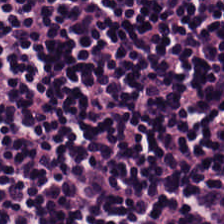FFPE tissue section. 224×224 pixel tile. H&E. {"tissue_type": "lymphoid infiltrate"}
